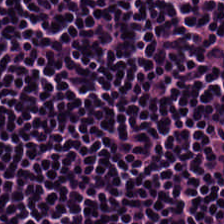Hematoxylin-and-eosin stained section. Tissue class — lymphocytic infiltrate.
